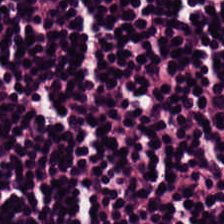Stain: hematoxylin-and-eosin stained section.
Tissue class: lymphoid infiltrate.
